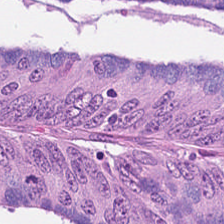Hematoxylin-and-eosin stained section.
The tissue is malignant epithelium.
